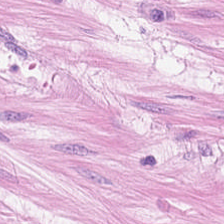Stain: hematoxylin-and-eosin stained section.
Classification: smooth-muscle tissue.
